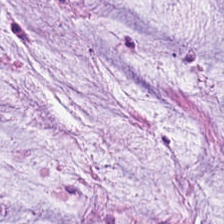FFPE tissue section; 0.5 µm/px; H&E stain — Q: What is the predominant tissue type?
A: Extracellular mucin.
